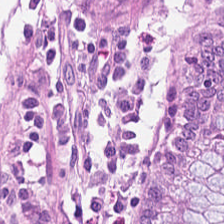H&E.
Classification: benign colonic mucosa.
